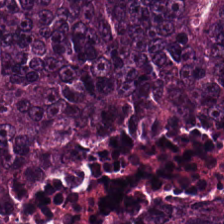Showing colorectal adenocarcinoma epithelium.
